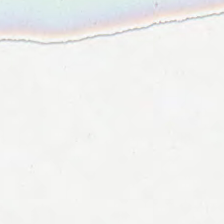0.5 µm/px. Hematoxylin and eosin — This patch shows background (no tissue).
